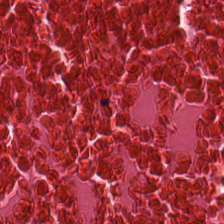The tissue is cellular debris.
